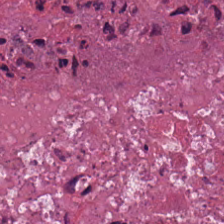Tissue = cellular debris.
